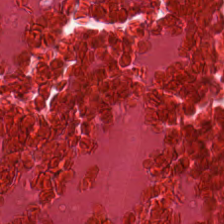{"tissue_type": "debris"}
